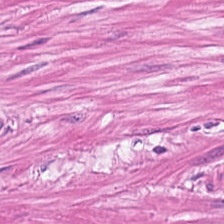H&E-stained tissue section. 224×224 px tile. Muscularis.
